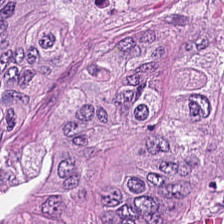Showing malignant epithelium.
